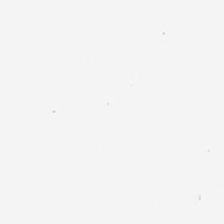Background — no tissue in this field.
